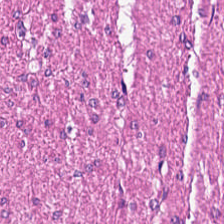Hematoxylin and eosin.
Tissue class — smooth muscle.
